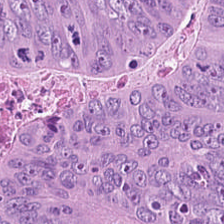Hematoxylin and eosin · 224×224 px patch — Q: What is the predominant tissue type?
A: It is colorectal adenocarcinoma epithelium.
